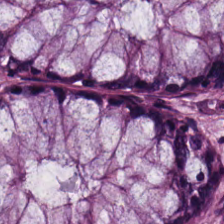H&E — Predominantly normal colon mucosa.
